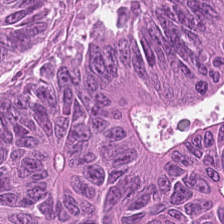Stain: hematoxylin-and-eosin stained section.
Tissue: malignant epithelium.
